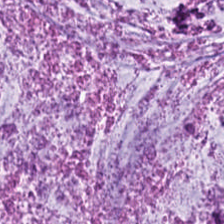Hematoxylin-and-eosin stained section; 224×224 px tile. Tissue type = extracellular mucin.
